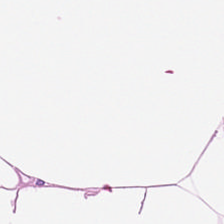Stain: hematoxylin and eosin.
Resolution: 20× equivalent magnification.
Tissue type: fat tissue.
